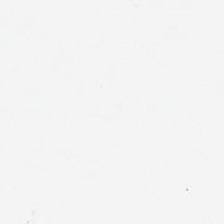20× equivalent magnification · brightfield microscopy · hematoxylin-and-eosin stained section. The field content is background.
